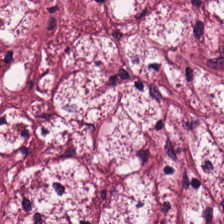Formalin-fixed paraffin-embedded section; brightfield; H&E. This field is cancer-associated stroma.
